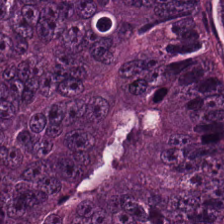H&E · 224×224 px patch — Tissue class: adenocarcinoma.
